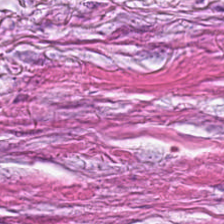Classification = cancer-associated stroma.
